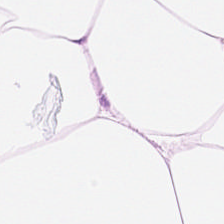H&E-stained tissue section.
Predominant tissue = fat tissue.
